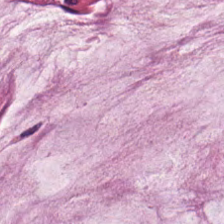H&E-stained tissue section.
Mucus.
